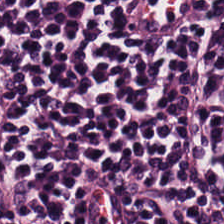Stain: hematoxylin and eosin.
Classification: lymphocytes.
